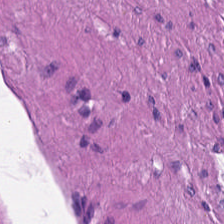H&E · 20× equivalent magnification — Predominant tissue: smooth-muscle tissue.
